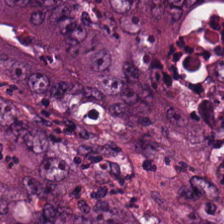FFPE · hematoxylin-and-eosin stained section · 224×224 px patch — Colorectal adenocarcinoma epithelium.
